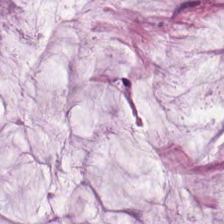H&E.
The tissue here is extracellular mucin.
